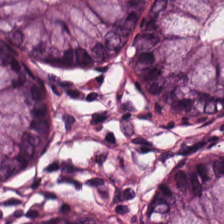Stain: H&E.
Predominant tissue: non-neoplastic colon mucosa.
